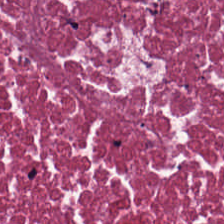Necrotic debris.
